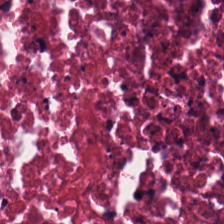H&E-stained tissue section. The predominant tissue is cellular debris.
